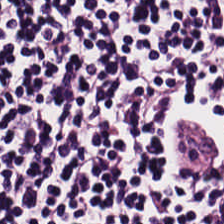Stain: hematoxylin-and-eosin stained section.
Preparation: formalin-fixed paraffin-embedded section.
Acquisition: brightfield.
Tissue: lymphocytes.
